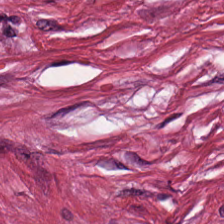Showing tumor-associated stroma.
